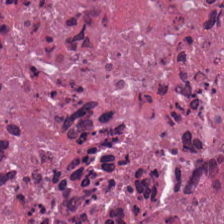Predominant tissue = cellular debris.
